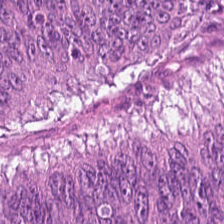H&E stain. Brightfield microscopy.
The classification is tumor epithelium.
